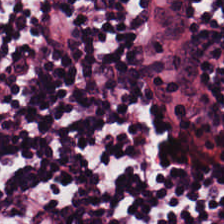FFPE tissue section · hematoxylin-and-eosin stained section · 0.5 µm/px — Predominant tissue = lymphoid infiltrate.
